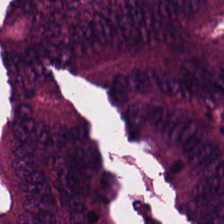H&E-stained section; the field shows tumor epithelium.
